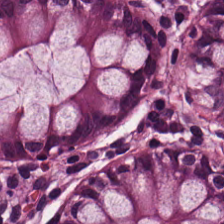Hematoxylin and eosin — Tissue class: normal colon mucosa.
